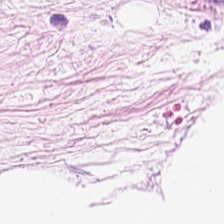H&E. Fat tissue.
